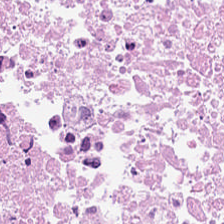H&E-stained tissue section; WSI patch.
This field is debris.
